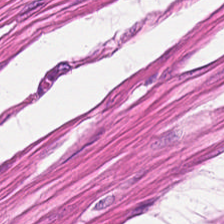Whole-slide-image patch; H&E; formalin-fixed paraffin-embedded section. Q: What is the predominant tissue type?
A: The field shows muscularis.
